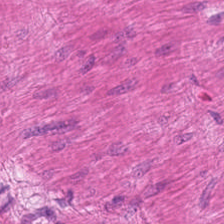H&E. This field is smooth muscle.
